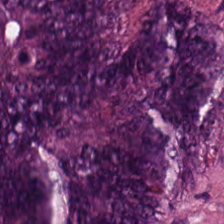Stain: H&E stain.
Tissue: malignant epithelium.
